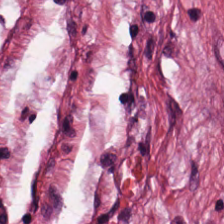Tissue type: tumor stroma.
